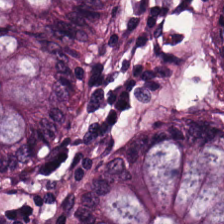H&E · brightfield microscopy.
Tissue type: benign colonic mucosa.
